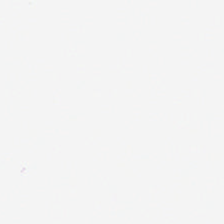0.5 µm per pixel. H&E stain.
This patch shows empty background.
